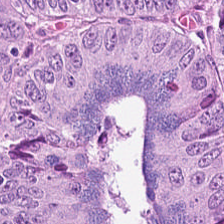Q: What is shown here?
A: Adenocarcinoma.
